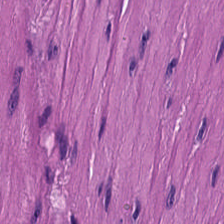0.5 µm/px · H&E stain — Q: Classify this patch.
A: This is smooth muscle.
